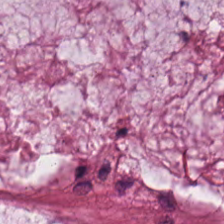H&E-stained tissue section · formalin-fixed paraffin-embedded section — Q: What is the predominant tissue type?
A: The field shows mucin.
